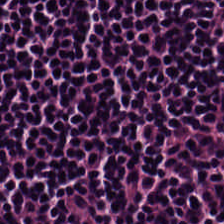Stain: hematoxylin and eosin.
Resolution: 0.5 µm per pixel.
Preparation: formalin-fixed paraffin-embedded section.
Classification: lymphocyte aggregate.
